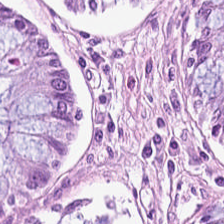H&E stain — Tissue: non-neoplastic colon mucosa.
